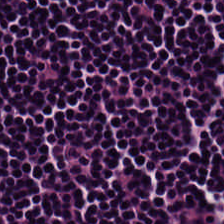H&E.
The predominant tissue is lymphocyte aggregate.
